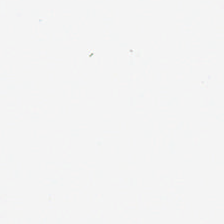Stain: hematoxylin-and-eosin stained section.
Field content: background (no tissue).
